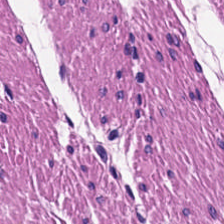Hematoxylin-and-eosin section: muscularis.
